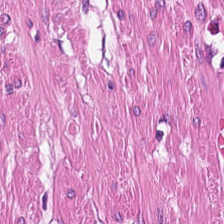H&E-stained section; the field shows smooth-muscle tissue.
